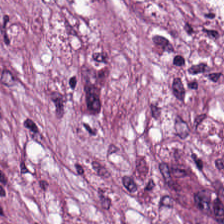Tissue: tumor-associated stroma.
